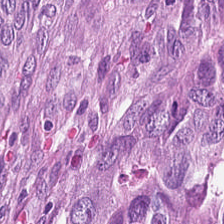Hematoxylin and eosin.
Predominantly malignant epithelium.
